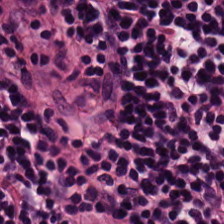WSI patch. H&E stain. 0.5 µm per pixel.
Classification = lymphocytic infiltrate.
